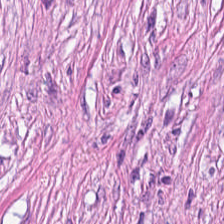Formalin-fixed paraffin-embedded section. H&E stain — Histology → tumor-associated stroma.
